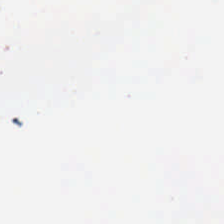H&E.
The field content is empty background.
